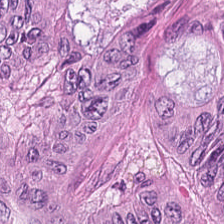Classification = colorectal adenocarcinoma.
